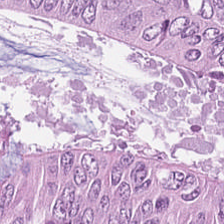H&E.
Classification — malignant epithelium.
